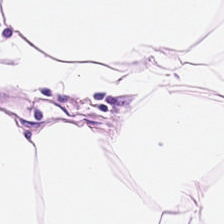Adipose tissue.
